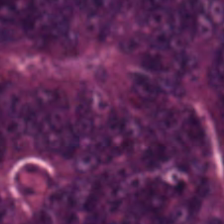H&E-stained tissue section. Q: What does this patch show?
A: The field shows adenocarcinoma.
